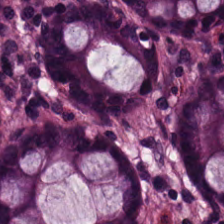Hematoxylin-and-eosin stained section. Histology → benign colonic mucosa.
